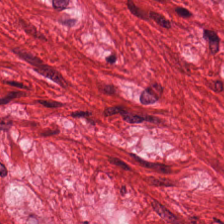Impression — smooth-muscle tissue.
